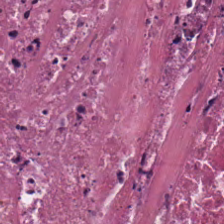Finding → debris.
